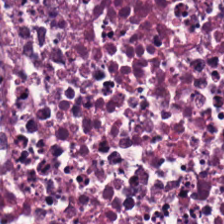0.5 µm/px. Hematoxylin-and-eosin stained section — The predominant tissue is cellular debris.
